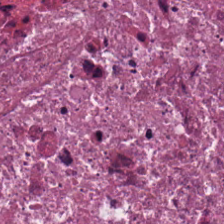H&E patch showing necrotic debris.
